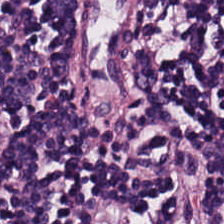Hematoxylin and eosin.
The tissue here is lymphoid infiltrate.
